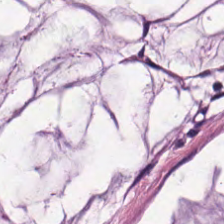H&E stain — Q: What tissue is shown?
A: Mucin.
